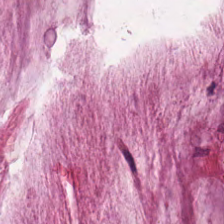Hematoxylin-and-eosin section: mucin.
